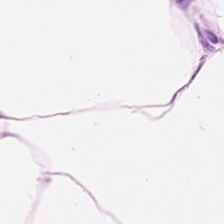H&E. Histology → adipose tissue.
